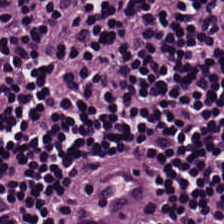Formalin-fixed paraffin-embedded section. Hematoxylin-and-eosin stained section. Showing lymphocyte aggregate.
